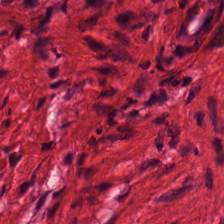H&E stain. 224×224 pixel tile — Q: What type of tissue is this?
A: Smooth muscle.
